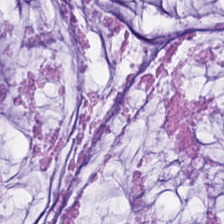Q: What tissue type is shown here?
A: It is mucus.
